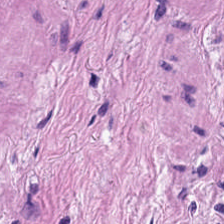224×224 px patch; 0.5 microns per pixel; hematoxylin and eosin.
Tissue = smooth-muscle tissue.
